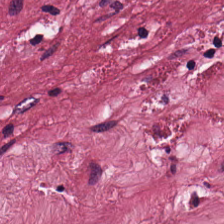224×224 pixel tile · hematoxylin and eosin. Q: What is the predominant tissue type?
A: It is tumor-associated stroma.
